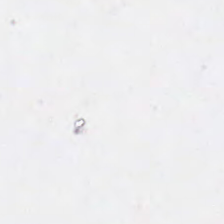Hematoxylin-and-eosin stained section. Formalin-fixed paraffin-embedded section — Classification: empty background.
